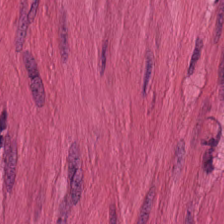H&E.
Showing smooth-muscle tissue.
